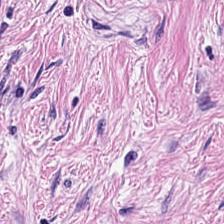20× equivalent magnification; 224×224 px tile; hematoxylin-and-eosin stained section.
Classification: tumor-associated stroma.
